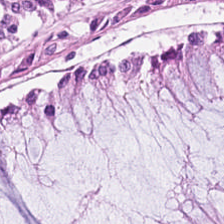H&E — The tissue here is normal colonic mucosa.
